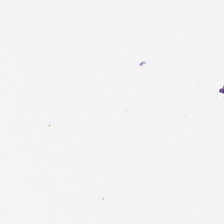Background (no tissue).
